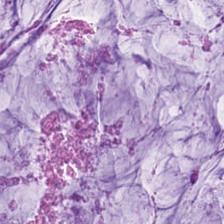Q: What does this patch show?
A: This is extracellular mucin.
